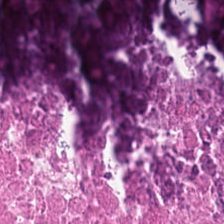Hematoxylin and eosin — Q: What does this patch show?
A: The field shows debris.
